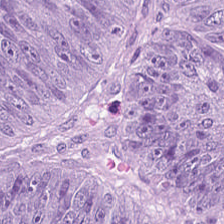0.5 µm per pixel; H&E stain; brightfield — The tissue is adenocarcinoma.
